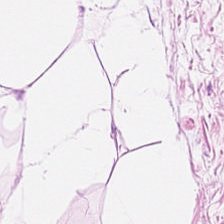Hematoxylin-and-eosin stained section.
Predominant tissue = fat tissue.
